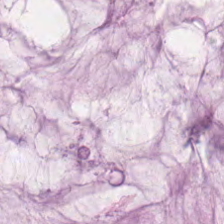H&E. Formalin-fixed paraffin-embedded section — The tissue class is mucin.
